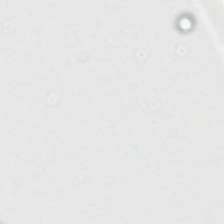Q: What does this patch show?
A: It is empty background.
